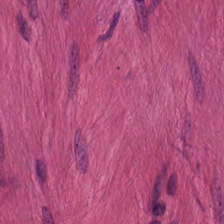Q: What does this patch show?
A: It is muscularis.
